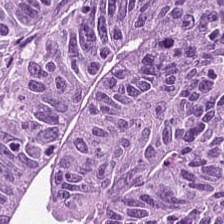224×224 pixel tile. Brightfield. H&E-stained tissue section. Predominantly tumor epithelium.
